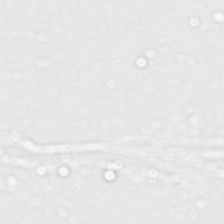FFPE tissue section. H&E-stained tissue section.
This field is background (no tissue).
